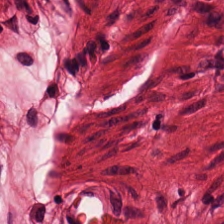Hematoxylin-and-eosin stained section. Predominantly smooth-muscle tissue.
